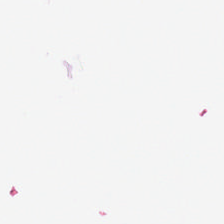Impression → background (no tissue).
